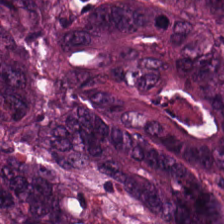Stain: H&E stain.
Predominant tissue: malignant epithelium.
